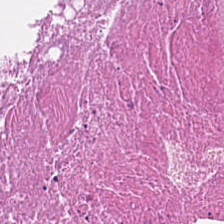H&E stain; 0.5 µm/px — Impression → debris.
